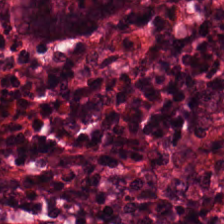H&E-stained section; the field shows benign colonic mucosa.
